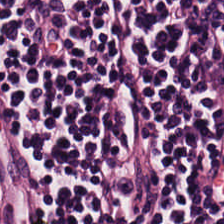Impression — lymphocytic infiltrate.
